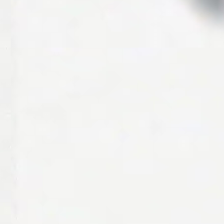H&E. Field content — background (no tissue).
